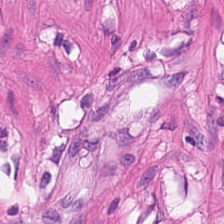Hematoxylin and eosin — Predominantly smooth-muscle tissue.
